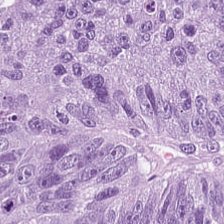Stain: hematoxylin and eosin.
Tissue type: tumor epithelium.
